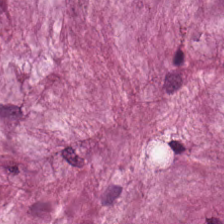Hematoxylin-and-eosin stained section. Predominantly mucin.
